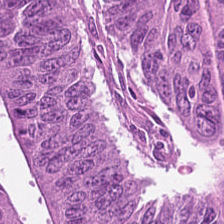Finding — colorectal adenocarcinoma.
